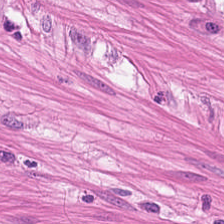Q: What is shown here?
A: It is smooth-muscle tissue.
